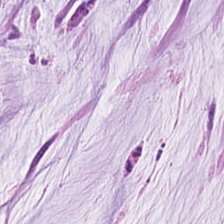Hematoxylin and eosin; 0.5 microns per pixel — This patch shows mucin.
